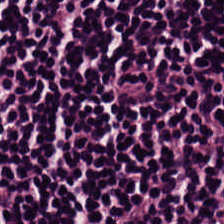The tissue here is lymphocytes.
